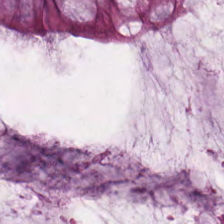H&E stain — The classification is non-neoplastic colon mucosa.
